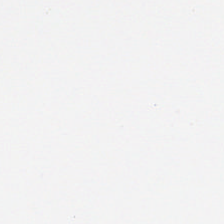FFPE. Hematoxylin and eosin. WSI patch.
Content: empty background.
